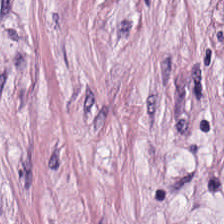H&E stain · FFPE · 224×224 px tile — Histology → desmoplastic stroma.
